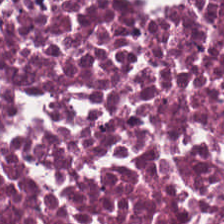Hematoxylin and eosin · brightfield — Q: What tissue type is shown here?
A: The field shows debris.
